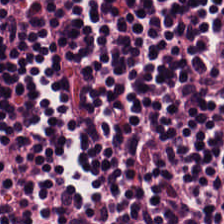Hematoxylin-and-eosin stained section. Whole-slide-image patch — Tissue: lymphocytes.
